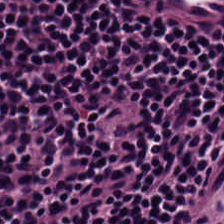H&E stain · FFPE tissue section — Lymphocytic infiltrate.
